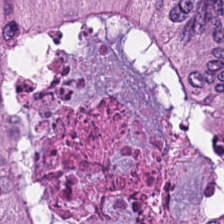Brightfield. H&E-stained tissue section — Tissue type: adenocarcinoma.
